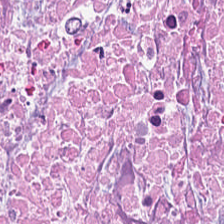Finding — necrotic debris.
